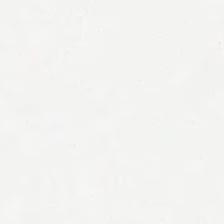Content: background.
